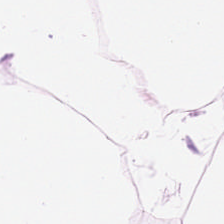224×224 pixel tile · H&E-stained tissue section · FFPE.
Q: What is the predominant tissue type?
A: It is adipose.
